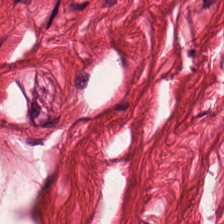This field is muscularis.
